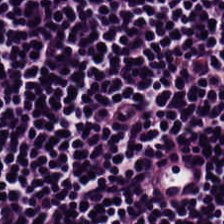Hematoxylin and eosin.
Showing lymphocyte aggregate.
